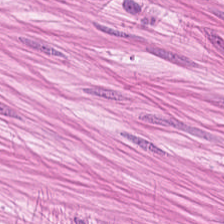224×224 pixel tile. Formalin-fixed paraffin-embedded section. Hematoxylin and eosin — Smooth muscle.
